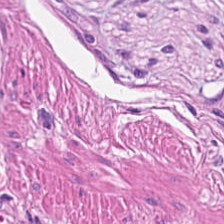Hematoxylin and eosin — Predominant tissue = smooth muscle.
